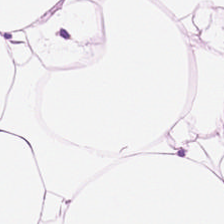Brightfield; 20× equivalent magnification; H&E.
Predominant tissue: adipocytes.
